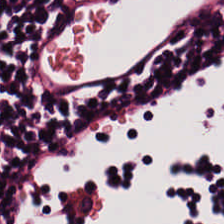Stain: hematoxylin-and-eosin stained section.
Tissue type: lymphocytes.
